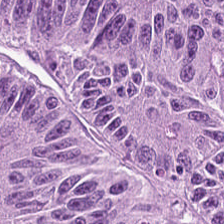H&E. Impression — colorectal adenocarcinoma epithelium.
